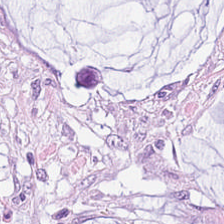Hematoxylin and eosin; 0.5 µm/px; brightfield microscopy — Predominantly extracellular mucin.
